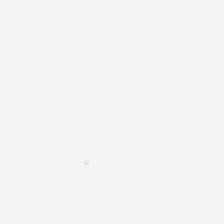H&E stain · FFPE.
Empty field — no tissue.
